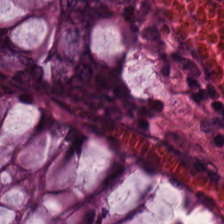H&E stain — Showing normal colon mucosa.
